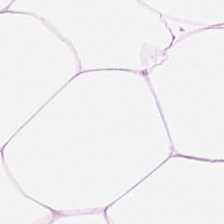H&E stain · FFPE tissue section. Finding — adipose.
